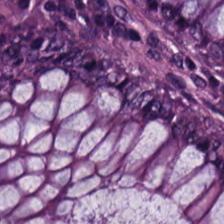Q: What tissue type is shown here?
A: The field shows normal colonic mucosa.
